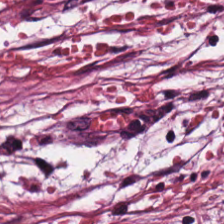H&E stain · formalin-fixed paraffin-embedded section.
The classification is tumor stroma.
